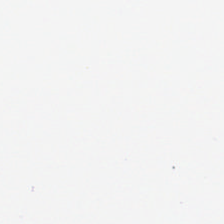H&E · 224×224 px tile.
Empty field — empty background.
